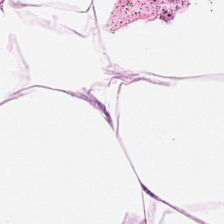H&E-stained tissue section. Q: What tissue type is shown here?
A: The field shows adipose tissue.
